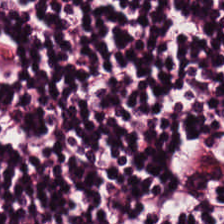Hematoxylin-and-eosin stained section; WSI patch; 0.5 µm per pixel.
This field is lymphocytes.
